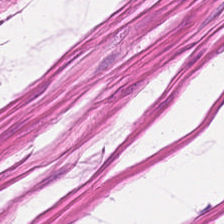H&E stain. Tissue = muscularis.
